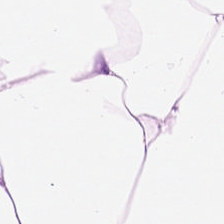Hematoxylin-and-eosin stained section; FFPE tissue section. Predominantly adipocytes.
